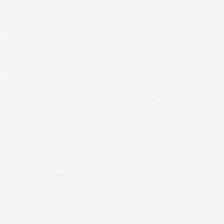H&E-stained tissue section — Background — no tissue in this field.
